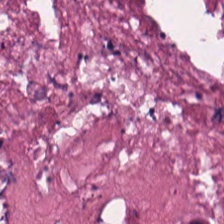H&E stain; FFPE; 20× equivalent magnification — The predominant tissue is debris.
